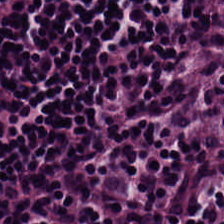Q: What type of tissue is this?
A: This is lymphocyte aggregate.
